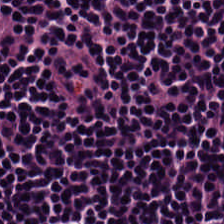H&E-stained tissue section; formalin-fixed paraffin-embedded section; 224×224 px patch — Tissue type = lymphocytes.
